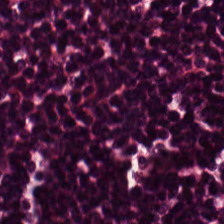This patch shows lymphocytes.
